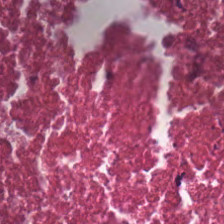WSI patch. H&E stain. Predominantly debris.
